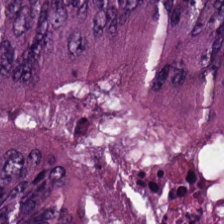Q: What tissue is shown?
A: It is adenocarcinoma.
